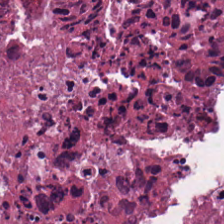H&E stain — Showing cellular debris.
